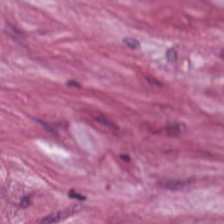Hematoxylin and eosin.
Q: What is shown in this field?
A: Tumor-associated stroma.
